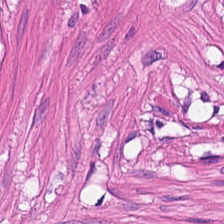Formalin-fixed paraffin-embedded section. Hematoxylin-and-eosin stained section.
Muscularis.
